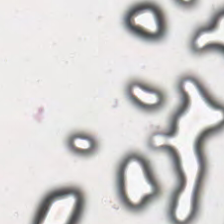FFPE. H&E-stained tissue section. Histology → no tissue.
